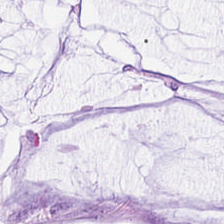Hematoxylin-and-eosin stained section — This patch shows extracellular mucin.
